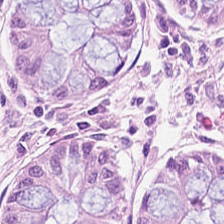Hematoxylin-and-eosin stained section. Whole-slide-image patch.
Predominantly normal colon mucosa.
